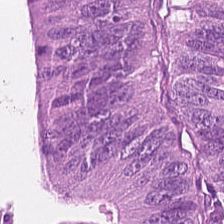H&E-stained tissue section; 0.5 µm per pixel; formalin-fixed paraffin-embedded section.
This patch shows malignant epithelium.
